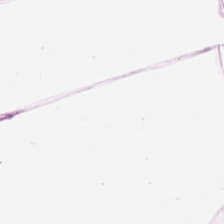Tissue: adipocytes.
